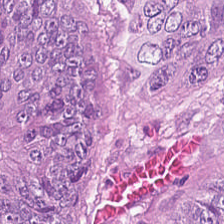Hematoxylin and eosin.
Predominantly colorectal adenocarcinoma.
